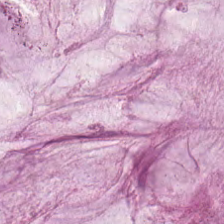Stain: H&E-stained tissue section.
Tile size: 224×224 px tile.
Tissue class: extracellular mucin.
